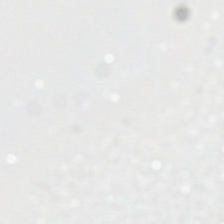H&E stain. Brightfield. 0.5 µm per pixel. Empty background.
